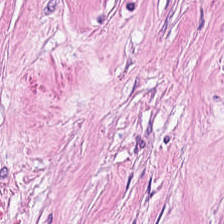This field is desmoplastic stroma.
